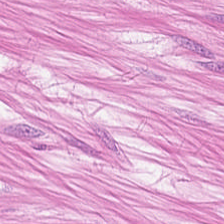H&E-stained tissue section; 0.5 µm per pixel — This field is smooth-muscle tissue.
